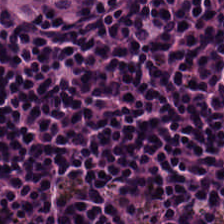FFPE; hematoxylin-and-eosin stained section; whole-slide-image patch.
Q: Classify this patch.
A: Lymphoid infiltrate.
